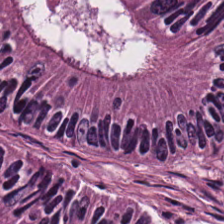FFPE tissue section · 0.5 µm per pixel · hematoxylin-and-eosin stained section. Q: What is shown in this field?
A: The field shows tumor epithelium.
